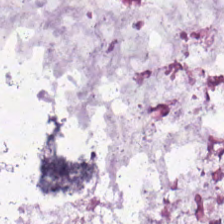H&E stain.
The predominant tissue is mucin.
